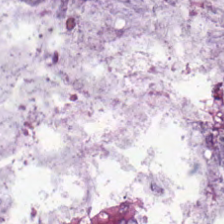FFPE tissue section · H&E.
Tissue — mucin.
